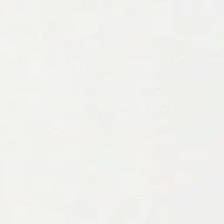Background (no tissue).
